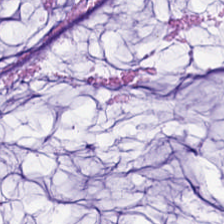Formalin-fixed paraffin-embedded section. 224×224 px patch. H&E.
Q: What tissue is shown?
A: The field shows mucin.
